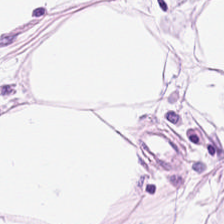0.5 microns per pixel · H&E-stained tissue section · FFPE. Classification — adipocytes.
